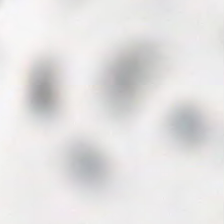224×224 px patch. 0.5 microns per pixel. Hematoxylin-and-eosin stained section.
Empty field — empty background.
